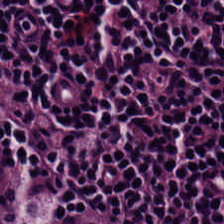H&E stain — This field is lymphocytes.
